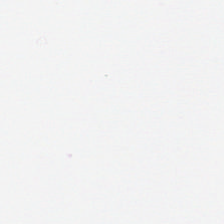H&E-stained tissue section. FFPE tissue section. Field content = background.
